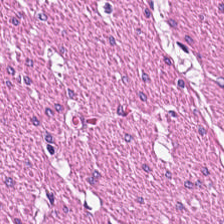0.5 µm per pixel. H&E. 224×224 px patch. Predominant tissue = smooth-muscle tissue.
